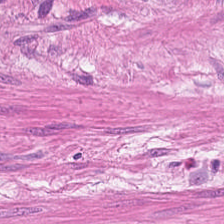H&E stain. Formalin-fixed paraffin-embedded section. Classification = smooth-muscle tissue.
